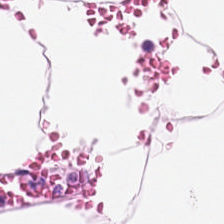Predominantly adipose tissue.
